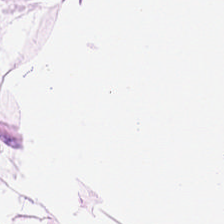0.5 microns per pixel; hematoxylin and eosin — Showing adipocytes.
